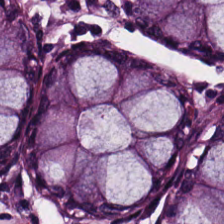Whole-slide-image patch. Hematoxylin-and-eosin stained section.
Histology → normal colon mucosa.
